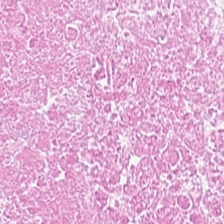Tissue class = cellular debris.
